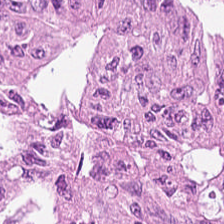FFPE tissue section. H&E. Impression → colorectal adenocarcinoma epithelium.
